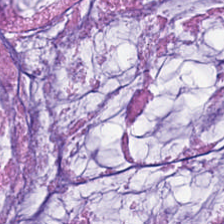0.5 µm/px. H&E. The predominant tissue is mucus.
